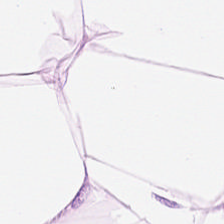Stain: H&E stain.
Classification: fat tissue.
